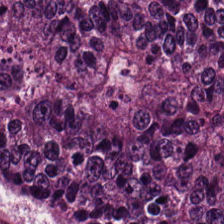H&E-stained tissue section. Formalin-fixed paraffin-embedded section. 20× equivalent magnification. The tissue is adenocarcinoma.
